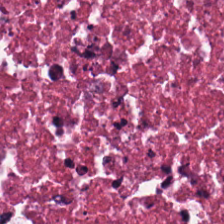H&E stain; 0.5 microns per pixel.
Predominant tissue — cellular debris.
